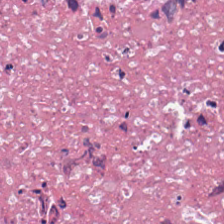Q: What tissue is shown?
A: Debris.
